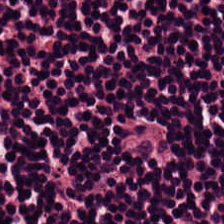Hematoxylin-and-eosin stained section; formalin-fixed paraffin-embedded section. Q: What is shown in this field?
A: Lymphoid infiltrate.
